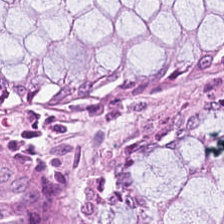The tissue class is normal colon mucosa.
